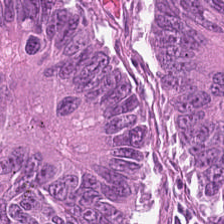H&E-stained tissue section — Q: What is shown in this field?
A: This is colorectal adenocarcinoma epithelium.
